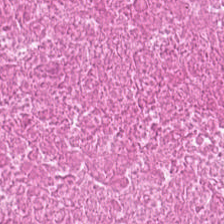Hematoxylin-and-eosin stained section. 224×224 px tile.
This field is necrotic debris.
